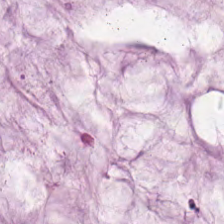H&E patch showing extracellular mucin.
